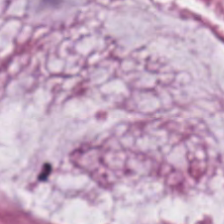Q: What tissue type is shown here?
A: Mucin.
